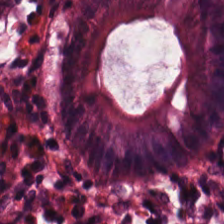H&E · brightfield — The predominant tissue is non-neoplastic colon mucosa.
